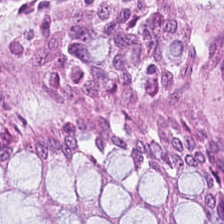H&E.
{"tissue_type": "normal colon mucosa"}
